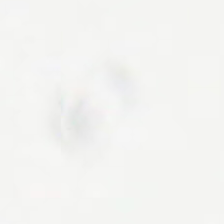WSI patch · H&E · 0.5 microns per pixel. {"content": "background"}
